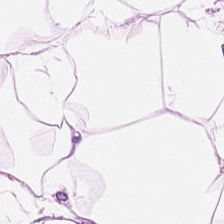0.5 µm per pixel; H&E-stained tissue section; formalin-fixed paraffin-embedded section. Impression — adipose.
